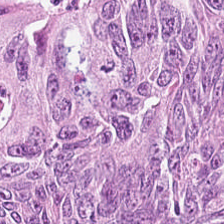H&E-stained tissue section.
Q: What is shown in this field?
A: It is malignant epithelium.
